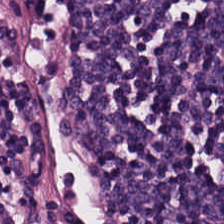H&E-stained tissue section. Impression — lymphoid infiltrate.
